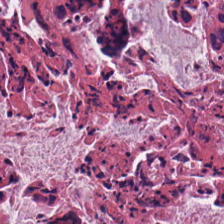H&E-stained section; the field shows debris.
